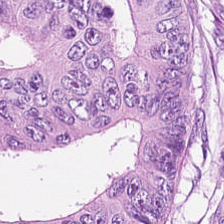0.5 µm per pixel · H&E. Q: What does this patch show?
A: This is tumor epithelium.
